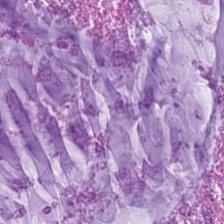Brightfield microscopy · 224×224 pixel tile · H&E stain.
Showing mucin.
